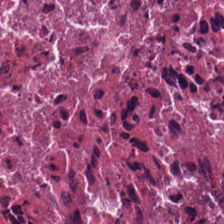Hematoxylin-and-eosin stained section. 0.5 µm per pixel — Showing necrotic debris.
